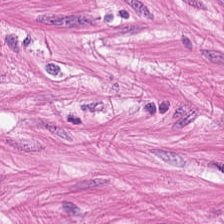Stain: hematoxylin and eosin.
Classification: smooth muscle.
